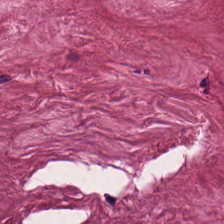H&E stain. Tissue class = tumor stroma.
